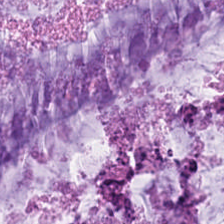FFPE tissue section; H&E — The tissue here is extracellular mucin.
